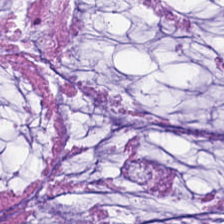H&E-stained tissue section.
Tissue = mucin.
